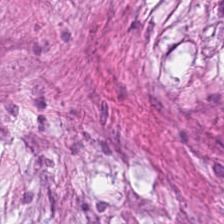Histology — cancer-associated stroma.
